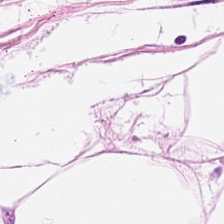Impression — fat tissue.
